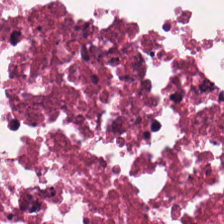Stain: hematoxylin-and-eosin stained section.
Classification: cellular debris.
